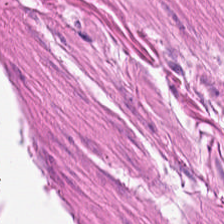H&E stain. Tissue: smooth-muscle tissue.
